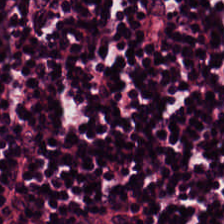H&E-stained tissue section — Tissue type = lymphocytes.
